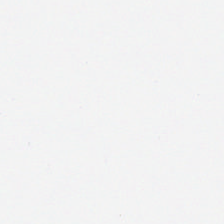H&E stain · 0.5 microns per pixel · 224×224 px patch. {"content": "background"}
